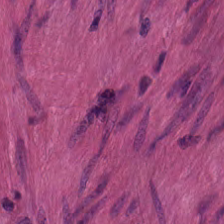Stain: H&E.
Resolution: 0.5 microns per pixel.
Acquisition: WSI patch.
Classification: smooth-muscle tissue.
